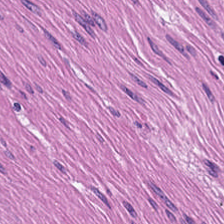H&E — muscularis.
